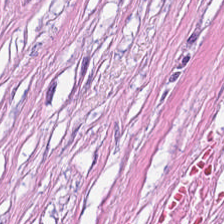H&E-stained tissue section · brightfield. Q: What tissue type is shown here?
A: It is desmoplastic stroma.
